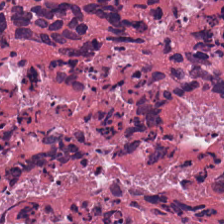H&E stain · 224×224 px tile. Necrotic debris.
